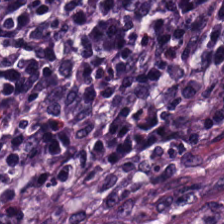H&E-stained tissue section. This patch shows lymphocytes.
